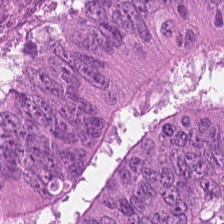H&E · 224×224 px patch — Classification — colorectal adenocarcinoma epithelium.
